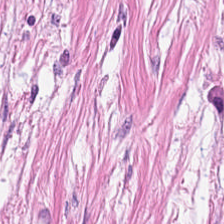Q: What is shown in this field?
A: It is cancer-associated stroma.
